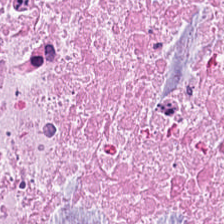Tissue: cellular debris.
